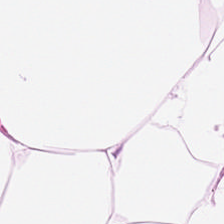0.5 microns per pixel; FFPE; H&E stain. Q: What type of tissue is this?
A: It is adipocytes.
